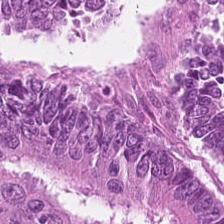H&E stain — Q: Classify this patch.
A: The field shows adenocarcinoma.
